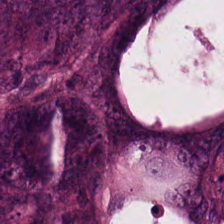H&E. Formalin-fixed paraffin-embedded section. Q: What is the predominant tissue type?
A: Adenocarcinoma.
